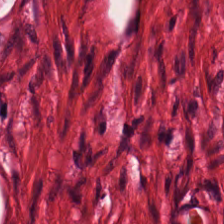H&E · whole-slide-image patch · FFPE — Tissue class: smooth-muscle tissue.
